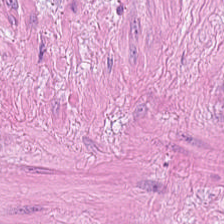Brightfield microscopy; H&E stain. Smooth muscle.
